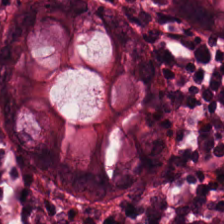H&E-stained section; the field shows normal colonic mucosa.
